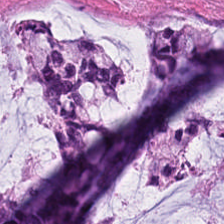H&E stain. FFPE.
This field is mucin.
